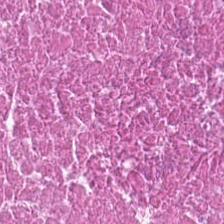Hematoxylin and eosin; FFPE tissue section — This patch shows necrotic debris.
